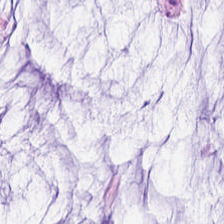H&E — Extracellular mucin.
